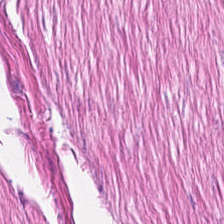Stain: H&E-stained tissue section.
Predominant tissue: muscularis.
